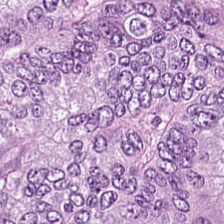0.5 microns per pixel · WSI patch · hematoxylin-and-eosin stained section. Showing colorectal adenocarcinoma.
